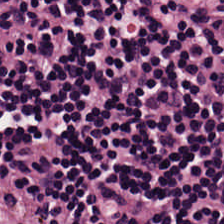H&E-stained tissue section.
Showing lymphocytes.
